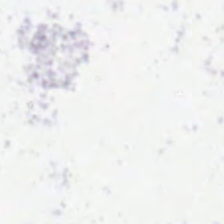Empty field — background (no tissue).
